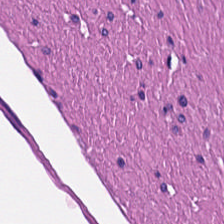Tissue type — smooth muscle.
